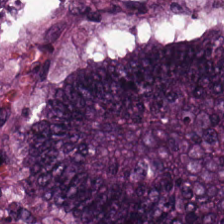Hematoxylin and eosin.
{"tissue_type": "adenocarcinoma"}
